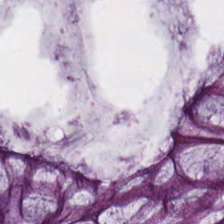The predominant tissue is non-neoplastic colon mucosa.
